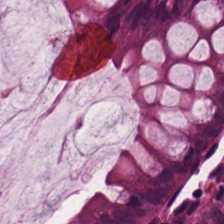FFPE. H&E. 0.5 microns per pixel.
Q: What tissue is shown?
A: The field shows benign colonic mucosa.
